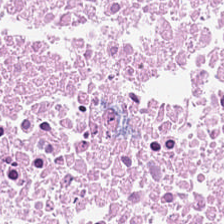Brightfield; hematoxylin and eosin; 224×224 px patch. Necrotic debris.
